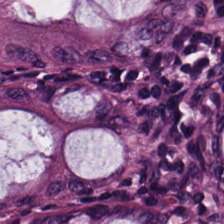H&E.
This patch shows normal colonic mucosa.
